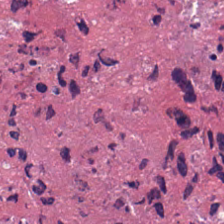0.5 µm/px. Hematoxylin and eosin — Q: Identify the tissue.
A: Cellular debris.
